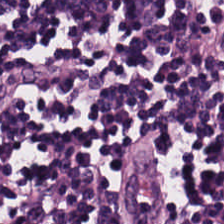Hematoxylin and eosin. Lymphocyte aggregate.
